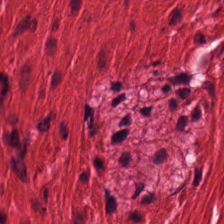H&E stain. 0.5 µm/px. FFPE tissue section. Finding — smooth-muscle tissue.
